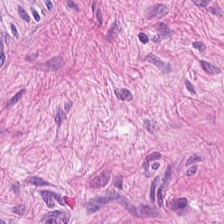H&E. Brightfield microscopy — Predominant tissue — muscularis.
